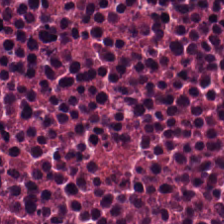20× equivalent magnification; formalin-fixed paraffin-embedded section; hematoxylin-and-eosin stained section — {"tissue_type": "debris"}
